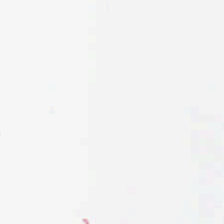Hematoxylin and eosin. Formalin-fixed paraffin-embedded section. This field is background (no tissue).
